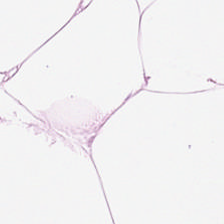This patch shows adipose tissue.
